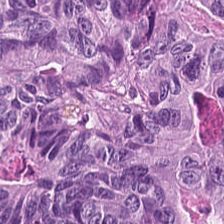Formalin-fixed paraffin-embedded section; hematoxylin and eosin; whole-slide-image patch — Impression → colorectal adenocarcinoma.
